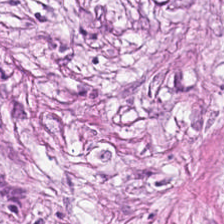0.5 µm per pixel; H&E-stained tissue section.
Histology — desmoplastic stroma.
